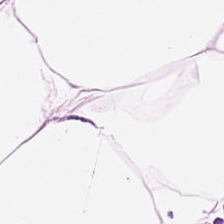Histology → adipose tissue.
